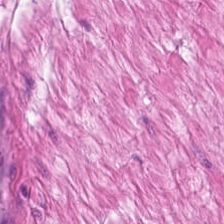Hematoxylin and eosin — Smooth-muscle tissue.
